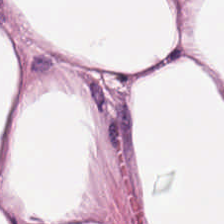H&E stain.
{"tissue_type": "adipose"}
